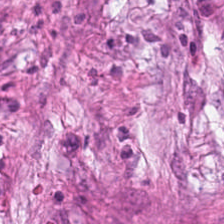The tissue type is cancer-associated stroma.
